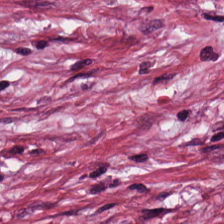Hematoxylin and eosin. The tissue class is tumor-associated stroma.
